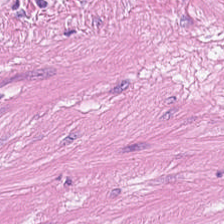FFPE tissue section; H&E stain.
Predominantly smooth-muscle tissue.
